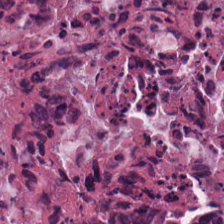Stain: H&E-stained tissue section.
Classification: debris.
